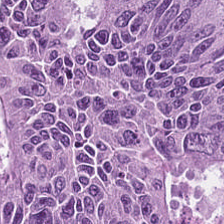H&E-stained tissue section; 224×224 px tile. Classification: colorectal adenocarcinoma epithelium.
